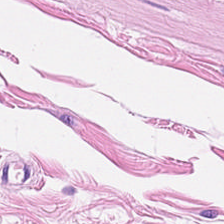Whole-slide-image patch · H&E. This patch shows muscularis.
